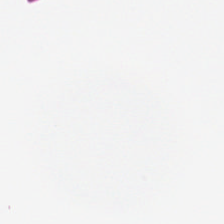The content is background (no tissue).
